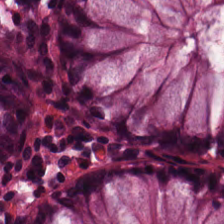H&E-stained tissue section. Whole-slide-image patch.
The predominant tissue is non-neoplastic colon mucosa.
